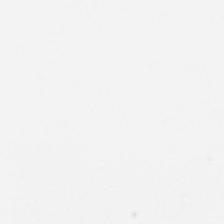Classification: empty background.
